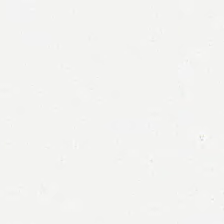Hematoxylin and eosin · brightfield microscopy. Content — empty background.
